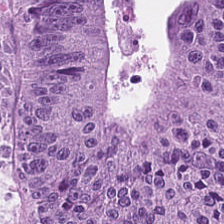Histology → tumor epithelium.
